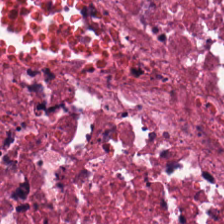Tissue type = necrotic debris.
